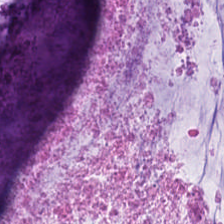H&E stain — Showing mucin.
